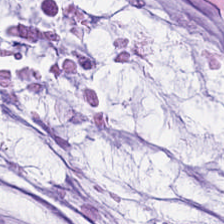H&E-stained tissue section. 0.5 microns per pixel — The predominant tissue is mucin.
